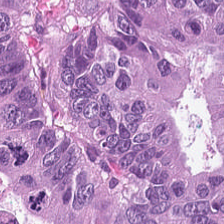Histology — tumor epithelium.
